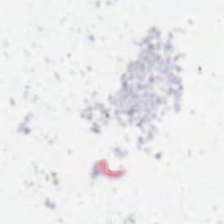H&E. This patch shows no tissue.
